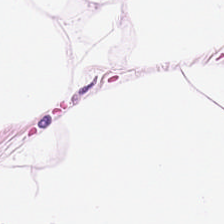Hematoxylin and eosin — Q: What tissue is shown?
A: Fat tissue.
